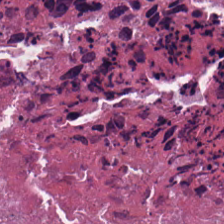H&E — cellular debris.
